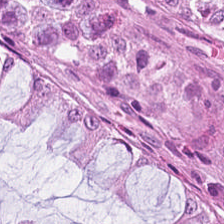Hematoxylin-and-eosin stained section. Tissue: non-neoplastic colon mucosa.
